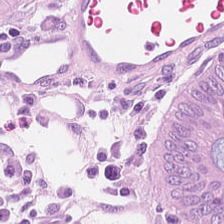Q: What tissue type is shown here?
A: The field shows benign colonic mucosa.
